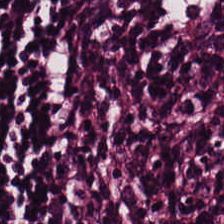Formalin-fixed paraffin-embedded section · 0.5 µm/px · H&E.
Q: What tissue type is shown here?
A: The field shows lymphocytes.
